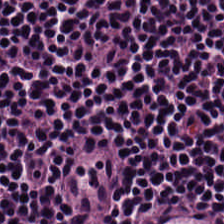Brightfield microscopy; H&E stain; 0.5 µm/px — Predominantly lymphocyte aggregate.
